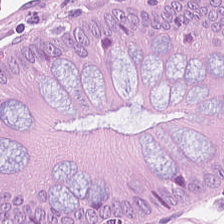Stain: H&E.
Preparation: FFPE.
Acquisition: brightfield microscopy.
Tissue: normal colonic mucosa.
